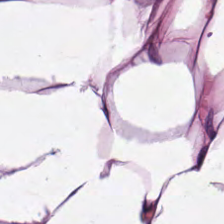H&E-stained tissue section showing adipocytes.
